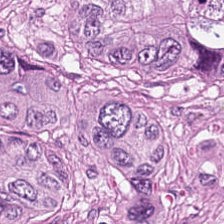Hematoxylin and eosin — Tumor epithelium.
